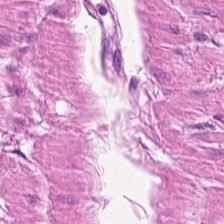224×224 px tile. H&E stain. The classification is smooth-muscle tissue.
